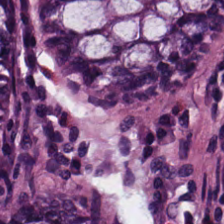Hematoxylin-and-eosin stained section. Q: What type of tissue is this?
A: It is non-neoplastic colon mucosa.
